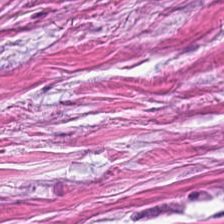H&E-stained tissue section · WSI patch · FFPE. {"tissue_type": "tumor stroma"}
